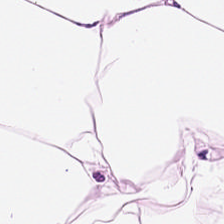H&E stain; 0.5 microns per pixel. Predominant tissue = adipocytes.
